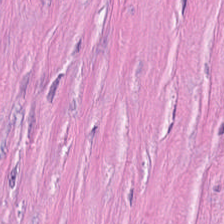20× equivalent magnification; hematoxylin and eosin.
This patch shows desmoplastic stroma.
